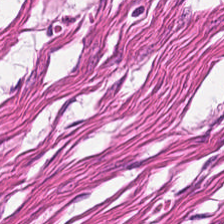Stain: H&E.
Acquisition: WSI patch.
Tissue class: muscularis.
